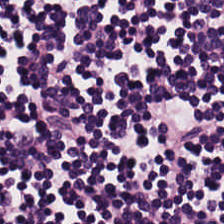Hematoxylin-and-eosin stained section — The tissue here is lymphocytic infiltrate.
